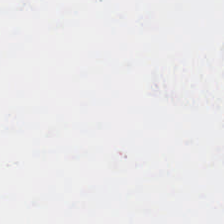Finding → background.
